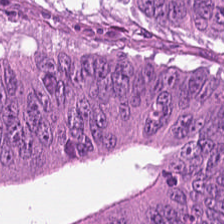Finding — malignant epithelium.
